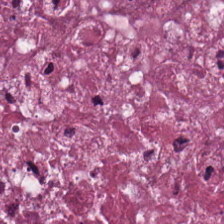H&E; 224×224 px patch. The classification is debris.
